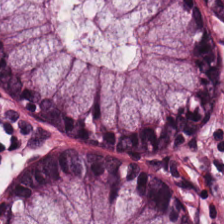H&E-stained tissue section. Q: What is the predominant tissue type?
A: It is normal colon mucosa.
